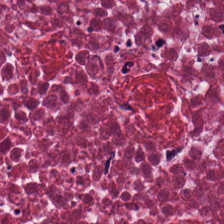Stain: H&E.
Tissue type: debris.
